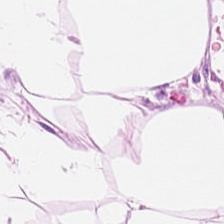H&E-stained tissue section. 0.5 µm per pixel — Q: What is shown here?
A: It is adipocytes.
